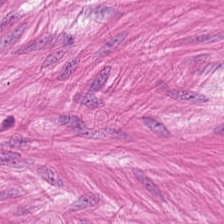H&E stain — Q: Identify the tissue.
A: Smooth muscle.
